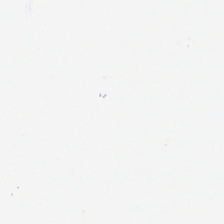Hematoxylin and eosin.
Background — no tissue in this field.
